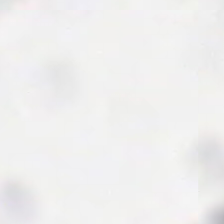H&E; 224×224 pixel tile; whole-slide-image patch. Field content = no tissue.
